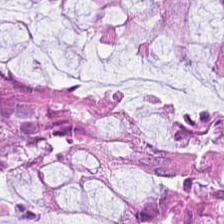Classification = normal colon mucosa.
